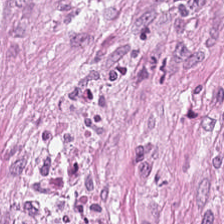The tissue class is tumor-associated stroma.
